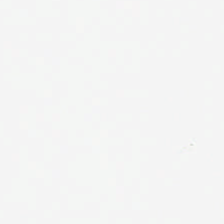Content: no tissue.
